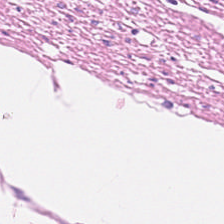Hematoxylin and eosin.
Q: What is shown here?
A: This is muscularis.
